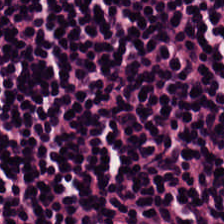Stain: H&E stain.
Preparation: formalin-fixed paraffin-embedded section.
Tissue: lymphocytic infiltrate.
